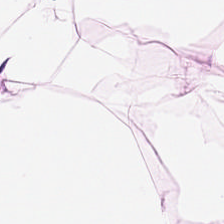H&E stain.
Finding → adipose tissue.
